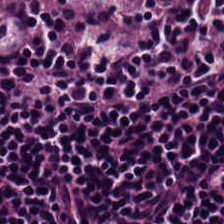Hematoxylin-and-eosin stained section.
Q: What does this patch show?
A: It is lymphocyte aggregate.
